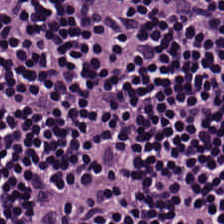Hematoxylin and eosin — Q: What tissue is shown?
A: It is lymphocyte aggregate.
